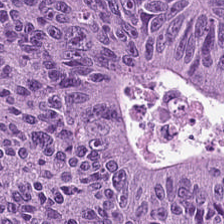Classification: adenocarcinoma.
